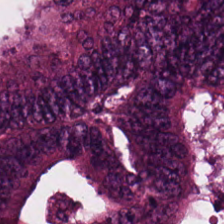H&E-stained tissue section showing colorectal adenocarcinoma epithelium.
